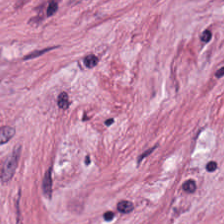Hematoxylin-and-eosin stained section; FFPE — Showing desmoplastic stroma.
